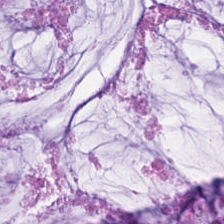224×224 px patch. 0.5 microns per pixel. Hematoxylin and eosin — Mucus.
